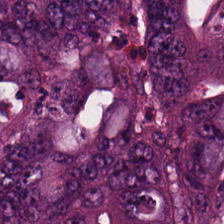Hematoxylin and eosin. The tissue is colorectal adenocarcinoma epithelium.
